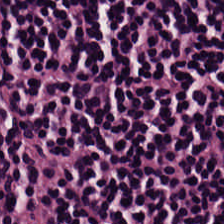H&E-stained tissue section. Brightfield — Histology → lymphoid infiltrate.
